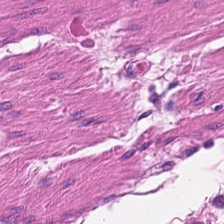The classification is muscularis.
